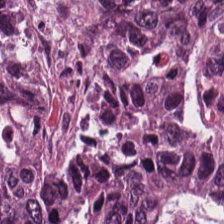Hematoxylin-and-eosin stained section; 0.5 microns per pixel.
Histology — colorectal adenocarcinoma epithelium.
